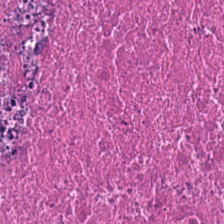H&E. Tissue: necrotic debris.
